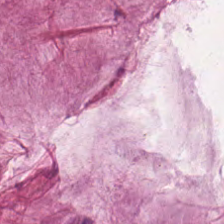Stain: H&E.
Resolution: 0.5 microns per pixel.
Tile size: 224×224 px patch.
Tissue class: mucus.
